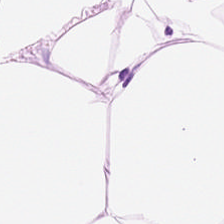Stain: hematoxylin and eosin.
Tissue: adipocytes.
